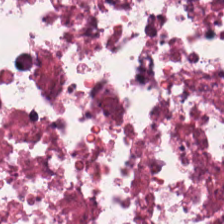H&E-stained section; the field shows cellular debris.
